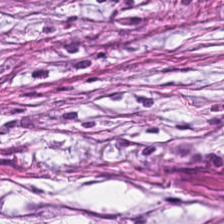This patch shows cancer-associated stroma.
